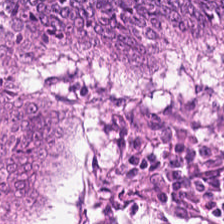Brightfield microscopy · H&E stain.
Tissue class: adenocarcinoma.
